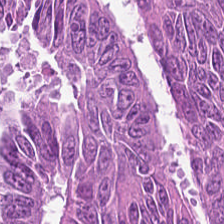H&E stain — This field is colorectal adenocarcinoma epithelium.
